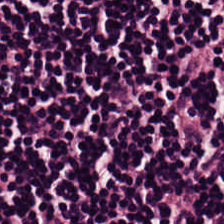H&E-stained tissue section; brightfield; 20× equivalent magnification. Histology — lymphocytes.
